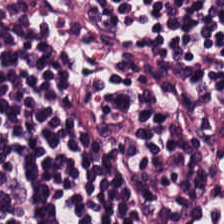Stain: H&E.
Tile size: 224×224 pixel tile.
Preparation: FFPE.
Tissue: lymphocytic infiltrate.
